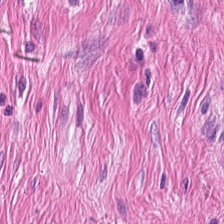H&E — This patch shows muscularis.
